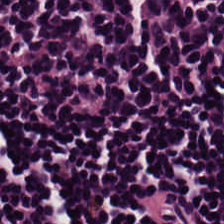Hematoxylin and eosin; FFPE tissue section. Classification — lymphocyte aggregate.
